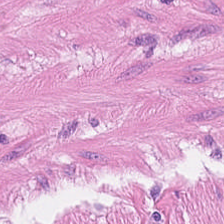Stain: H&E.
Predominant tissue: smooth-muscle tissue.
